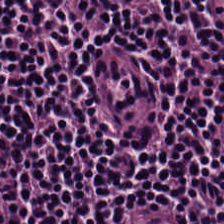Hematoxylin and eosin.
Classification = lymphocytic infiltrate.
